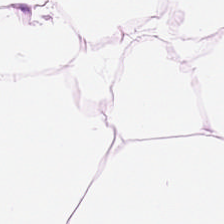Hematoxylin and eosin. 0.5 microns per pixel — Finding → adipose tissue.
